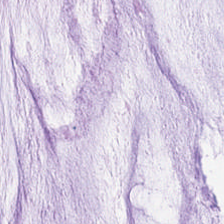Hematoxylin-and-eosin stained section. 224×224 pixel tile — Tissue — extracellular mucin.
